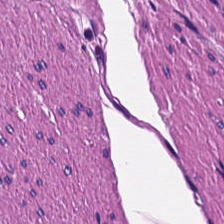Formalin-fixed paraffin-embedded section. H&E stain — Q: What is shown here?
A: It is muscularis.
